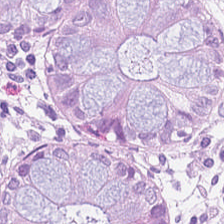Hematoxylin and eosin; FFPE — Q: What tissue type is shown here?
A: The field shows normal colonic mucosa.
